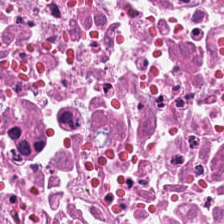0.5 µm per pixel; brightfield microscopy; hematoxylin and eosin.
Tissue: cellular debris.
